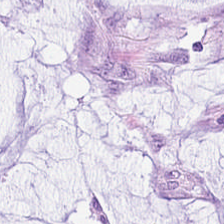Formalin-fixed paraffin-embedded section; H&E. Q: What tissue type is shown here?
A: Mucus.
